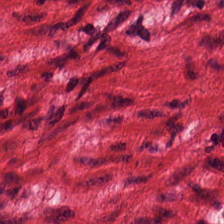H&E.
Histology — smooth-muscle tissue.
